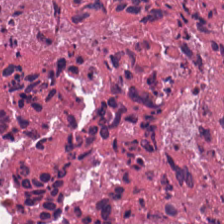Brightfield; H&E-stained tissue section — Q: Identify the tissue.
A: This is cellular debris.
